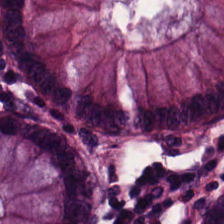H&E. The tissue here is benign colonic mucosa.
